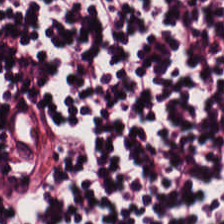224×224 px patch · FFPE · H&E stain.
This field is lymphoid infiltrate.
